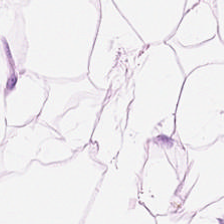H&E-stained tissue section.
This patch shows adipose.
